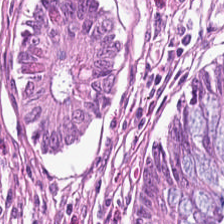Hematoxylin and eosin · FFPE tissue section · whole-slide-image patch — {"tissue_type": "non-neoplastic colon mucosa"}
